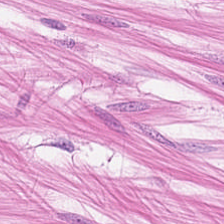Hematoxylin-and-eosin stained section · 0.5 microns per pixel.
Finding — smooth muscle.
